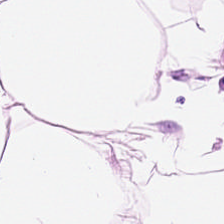Hematoxylin-and-eosin stained section — Showing fat tissue.
